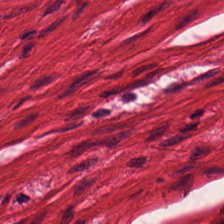H&E-stained tissue section · 0.5 microns per pixel — Tissue type — smooth muscle.
